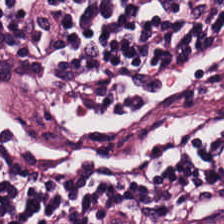Hematoxylin-and-eosin stained section · 0.5 microns per pixel.
{"tissue_type": "lymphocytic infiltrate"}
